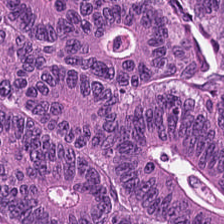H&E-stained tissue section.
This patch shows colorectal adenocarcinoma.
